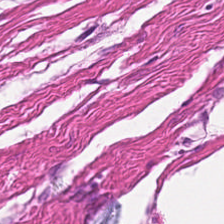Predominant tissue: smooth muscle.
